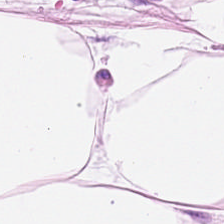Hematoxylin-and-eosin stained section.
Tissue type — adipose tissue.
